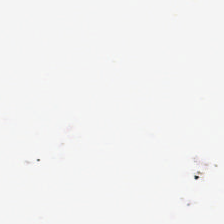Stain: H&E stain.
Tile size: 224×224 pixel tile.
Field content: no tissue.
